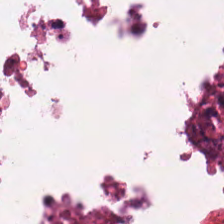H&E — debris.
